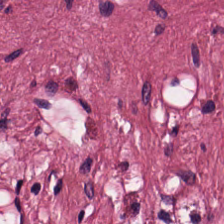Stain: hematoxylin-and-eosin stained section.
Classification: desmoplastic stroma.
